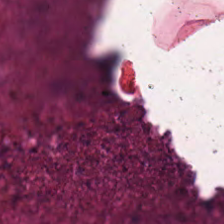224×224 px patch. Whole-slide-image patch. H&E-stained tissue section.
Q: What is the predominant tissue type?
A: Debris.
